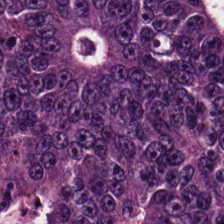Hematoxylin-and-eosin stained section.
Q: What tissue is shown?
A: It is tumor epithelium.
